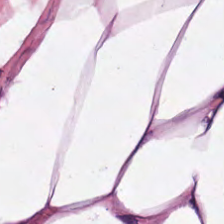Hematoxylin-and-eosin stained section; brightfield; formalin-fixed paraffin-embedded section. Q: What is shown here?
A: It is fat tissue.
